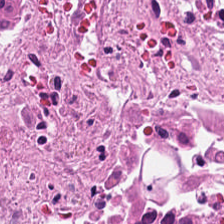Hematoxylin and eosin.
Predominantly necrotic debris.
